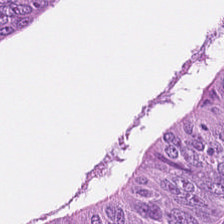FFPE tissue section · H&E — Q: What is shown in this field?
A: This is colorectal adenocarcinoma epithelium.
